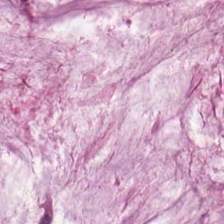H&E stain. The predominant tissue is mucin.
